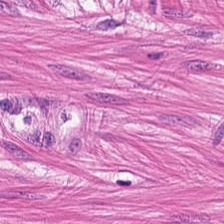H&E-stained tissue section.
The tissue is smooth-muscle tissue.
